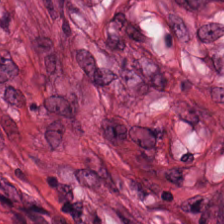Hematoxylin-and-eosin stained section — Q: What is shown here?
A: It is desmoplastic stroma.
